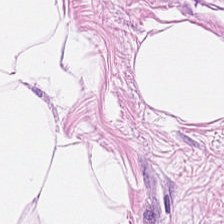Finding → adipose tissue.
